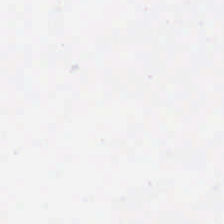Hematoxylin and eosin — Q: Classify this patch.
A: The field shows empty background.
